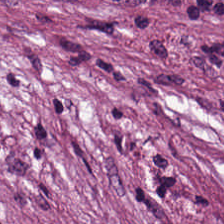20× equivalent magnification. Hematoxylin-and-eosin stained section.
Tumor-associated stroma.
